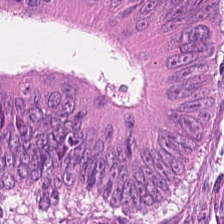H&E-stained tissue section · 224×224 pixel tile — The classification is colorectal adenocarcinoma.
